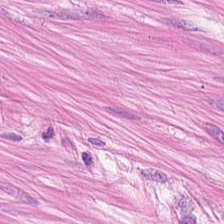H&E-stained tissue section showing smooth muscle.
